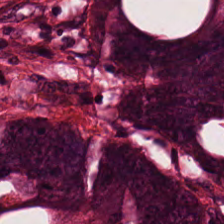Hematoxylin-and-eosin stained section. Histology — colorectal adenocarcinoma epithelium.
